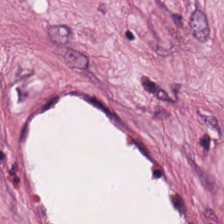H&E stain · 20× equivalent magnification — {"tissue_type": "cancer-associated stroma"}
